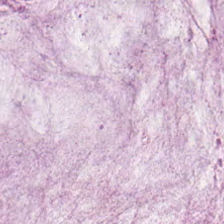Q: What tissue is shown?
A: This is mucus.
